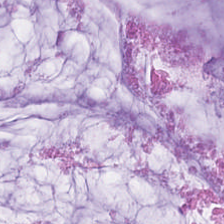H&E-stained tissue section; whole-slide-image patch — Tissue = extracellular mucin.
